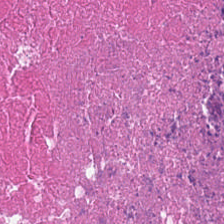H&E stain — This field is cellular debris.
